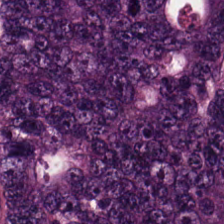H&E.
Predominantly colorectal adenocarcinoma epithelium.
